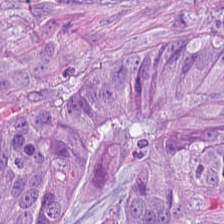Stain: H&E.
Acquisition: brightfield.
Predominant tissue: adenocarcinoma.
